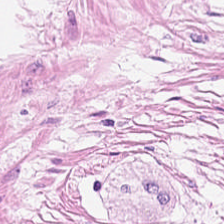Formalin-fixed paraffin-embedded section. H&E stain. 0.5 µm/px.
Q: What tissue type is shown here?
A: This is smooth-muscle tissue.
